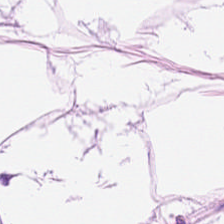H&E stain. The predominant tissue is adipose.
